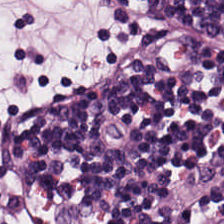The tissue class is lymphocytic infiltrate.
